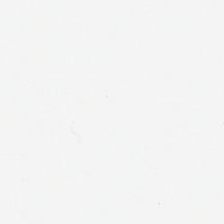Hematoxylin and eosin.
{"content": "no tissue"}
